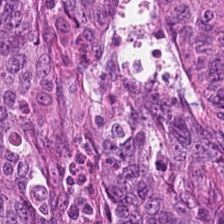The tissue is tumor epithelium.
